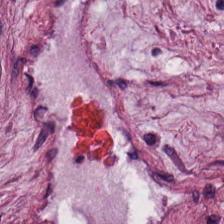Showing cancer-associated stroma.
